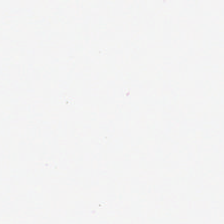Formalin-fixed paraffin-embedded section · H&E.
Classification = empty background.
